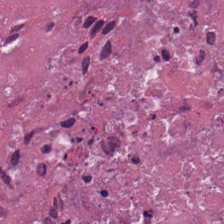H&E — Predominant tissue — cellular debris.
